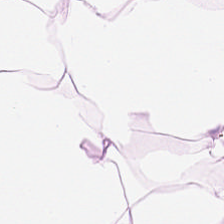Finding — adipocytes.
